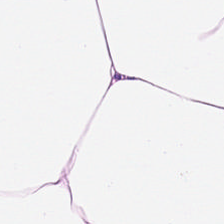This patch shows fat tissue.
